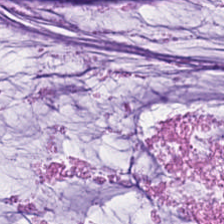{"tissue_type": "mucus"}
